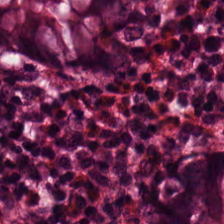Stain: H&E.
Tissue class: benign colonic mucosa.
